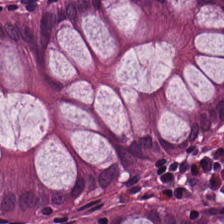Finding → normal colon mucosa.
